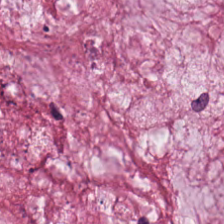224×224 pixel tile. H&E stain.
The classification is mucus.
